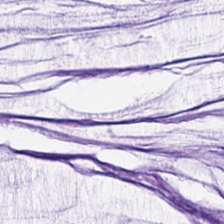Q: What type of tissue is this?
A: This is mucin.
